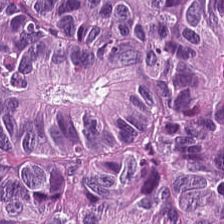0.5 microns per pixel · H&E-stained tissue section. Q: What type of tissue is this?
A: Colorectal adenocarcinoma.
